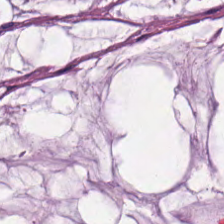H&E patch showing mucus.
